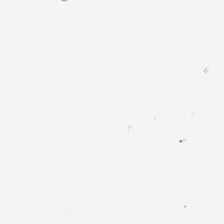H&E. Q: Classify this patch.
A: The field shows empty background.
